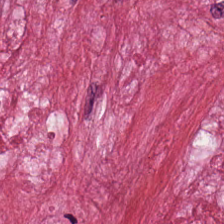H&E-stained tissue section. 224×224 px tile. Classification: cancer-associated stroma.
